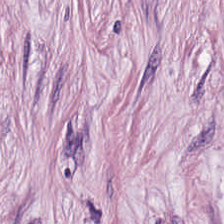Predominant tissue — tumor stroma.
